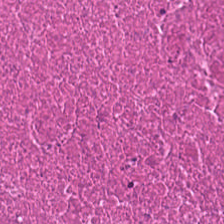H&E stain — {"tissue_type": "necrotic debris"}
